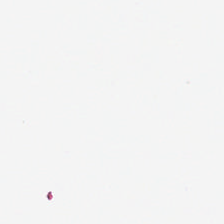H&E · FFPE tissue section.
Content: no tissue.
